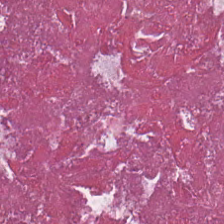FFPE tissue section · H&E-stained tissue section. Impression — necrotic debris.
